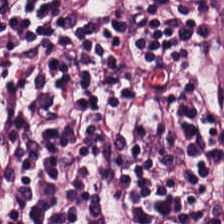Tissue type — lymphocytic infiltrate.
